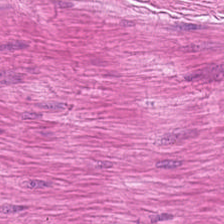H&E.
This field is smooth-muscle tissue.
